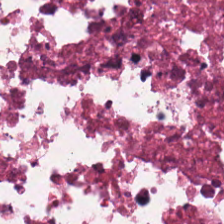Classification = necrotic debris.
